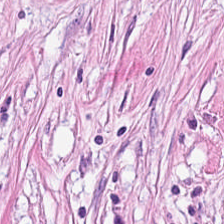{"tissue_type": "desmoplastic stroma"}
